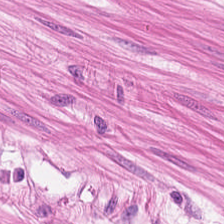H&E.
Showing smooth-muscle tissue.
